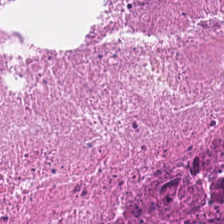FFPE tissue section. Hematoxylin-and-eosin stained section.
Finding → debris.
